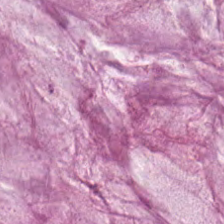H&E stain — Predominantly extracellular mucin.
